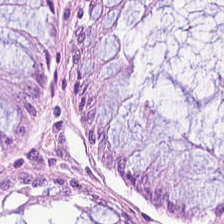Non-neoplastic colon mucosa.
